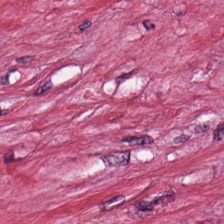FFPE. H&E-stained tissue section — The predominant tissue is tumor stroma.
